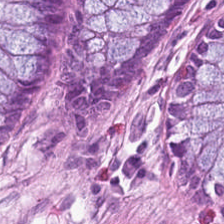Hematoxylin and eosin. Non-neoplastic colon mucosa.
